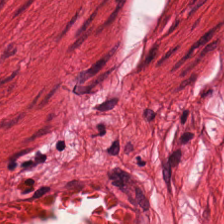Hematoxylin and eosin.
Q: Classify this patch.
A: This is smooth-muscle tissue.
